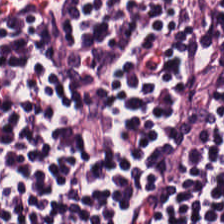Stain: H&E-stained tissue section.
Tissue: lymphocytes.
